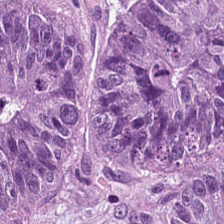Hematoxylin and eosin.
Predominantly tumor epithelium.
